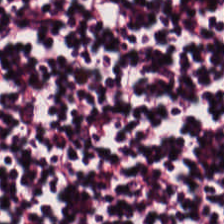Hematoxylin and eosin — Predominantly lymphoid infiltrate.
